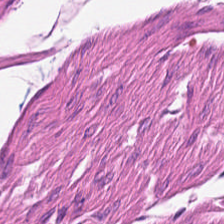Hematoxylin and eosin. The tissue here is muscularis.
